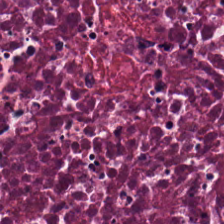H&E-stained tissue section; 224×224 px patch — This patch shows necrotic debris.
